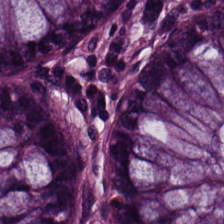Brightfield; H&E stain. The tissue here is normal colonic mucosa.
